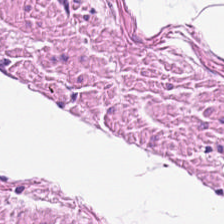H&E stain.
The predominant tissue is muscularis.
